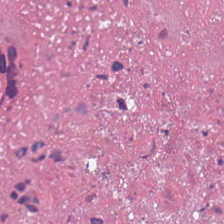H&E stain.
The predominant tissue is cellular debris.
